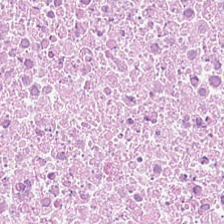Impression → necrotic debris.
